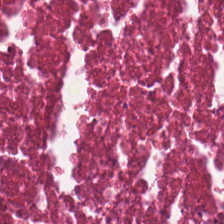H&E-stained tissue section.
Showing debris.
